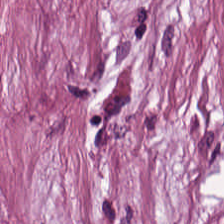Stain: hematoxylin and eosin.
Resolution: 0.5 microns per pixel.
Tissue class: tumor-associated stroma.
